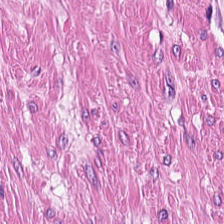Brightfield. H&E. 0.5 µm per pixel. Tissue class: smooth muscle.
